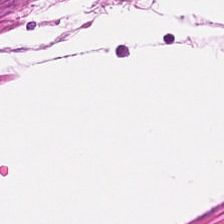H&E. 224×224 px patch.
Q: What is shown in this field?
A: The field shows smooth-muscle tissue.
